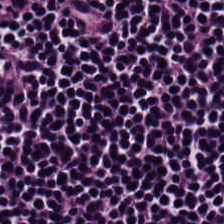224×224 px tile; FFPE; hematoxylin and eosin — This field is lymphocyte aggregate.
